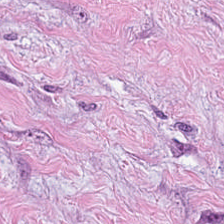H&E stain. Histology → tumor-associated stroma.
